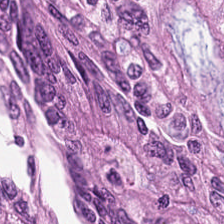The tissue here is colorectal adenocarcinoma.
